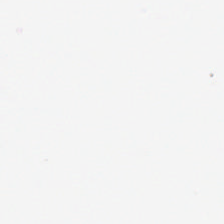Impression — empty background.
